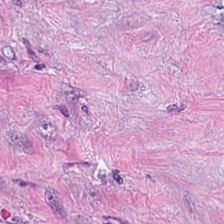H&E — This patch shows tumor-associated stroma.
